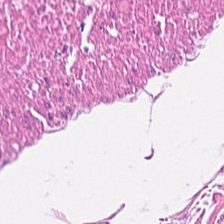Showing smooth-muscle tissue.
